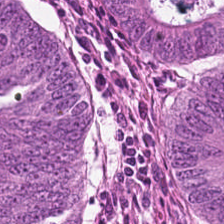Stain: H&E-stained tissue section.
Predominant tissue: malignant epithelium.
